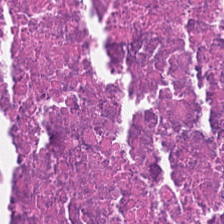Stain: hematoxylin-and-eosin stained section.
Tissue: cellular debris.
